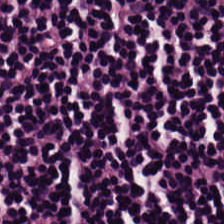The tissue here is lymphoid infiltrate.
